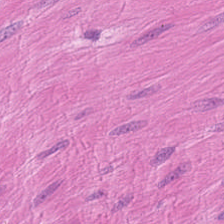H&E stain. Impression → smooth-muscle tissue.
